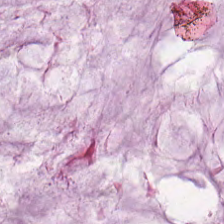H&E stain. The tissue here is mucus.
